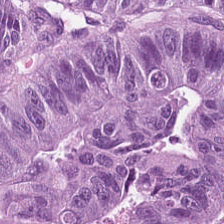0.5 µm/px; H&E. The tissue class is adenocarcinoma.
